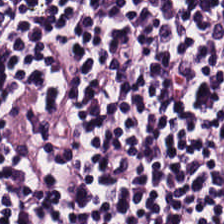{"tissue_type": "lymphoid infiltrate"}
